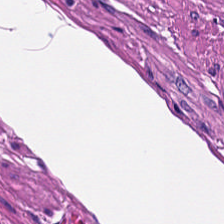H&E-stained tissue section. Histology — smooth muscle.
